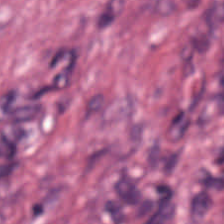Hematoxylin and eosin · 20× equivalent magnification — Predominant tissue: tumor stroma.
